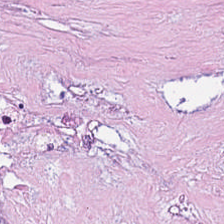Finding — cellular debris.
